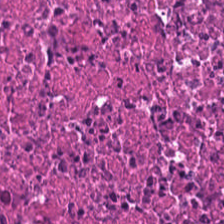Stain: hematoxylin and eosin.
Acquisition: brightfield.
Tissue type: necrotic debris.
